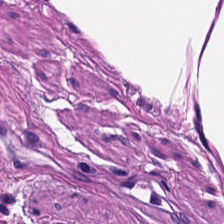Whole-slide-image patch · 0.5 µm per pixel · H&E stain. Histology — smooth-muscle tissue.
